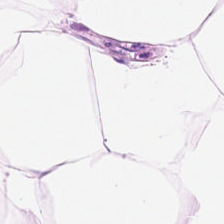H&E stain. The predominant tissue is adipose.
